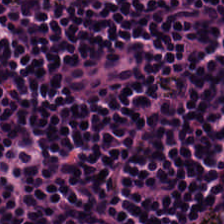Hematoxylin and eosin; 0.5 µm/px; formalin-fixed paraffin-embedded section — Tissue class: lymphocytes.
